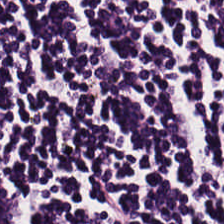The classification is lymphoid infiltrate.
